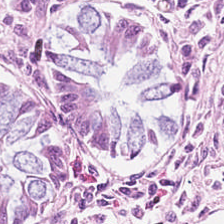Hematoxylin-and-eosin stained section · formalin-fixed paraffin-embedded section · 0.5 µm per pixel. The classification is non-neoplastic colon mucosa.
